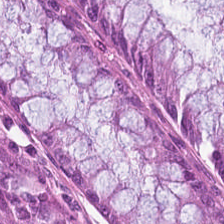Stain: H&E stain.
Tissue: normal colonic mucosa.
